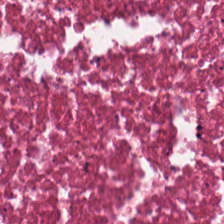Stain: hematoxylin-and-eosin stained section.
Classification: cellular debris.
